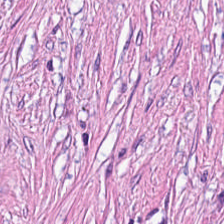224×224 px patch; H&E stain.
Tumor stroma.
